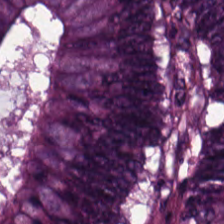0.5 µm/px; hematoxylin and eosin.
The tissue here is adenocarcinoma.
